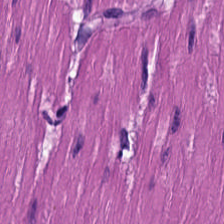Hematoxylin-and-eosin stained section; 0.5 µm/px — Showing smooth muscle.
